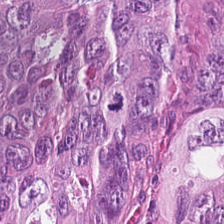Q: Classify this patch.
A: The field shows malignant epithelium.
